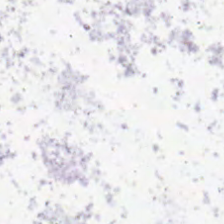224×224 px tile · whole-slide-image patch · H&E stain — Q: What is shown here?
A: It is empty background.
